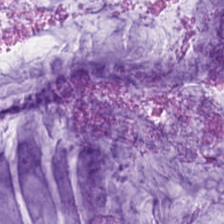The predominant tissue is extracellular mucin.
